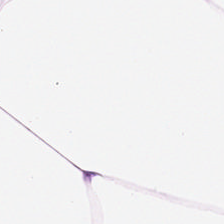Hematoxylin-and-eosin stained section. This field is adipose.
